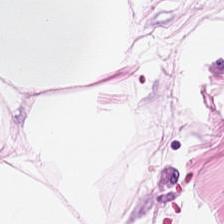Classification — fat tissue.
